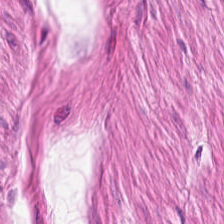H&E stain — Tissue class: muscularis.
